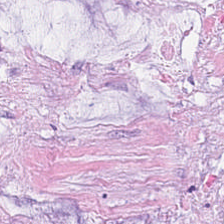H&E stain.
Predominant tissue = mucus.
